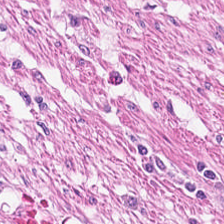Tissue type — smooth muscle.
